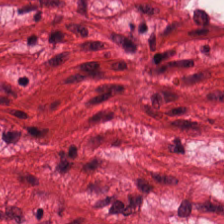H&E stain. The predominant tissue is smooth muscle.
